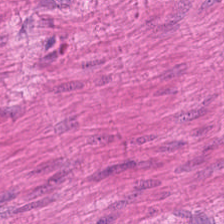H&E — Histology — muscularis.
